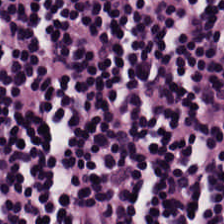Histology — lymphocytic infiltrate.
